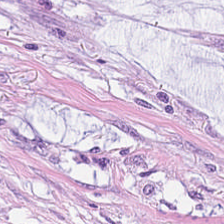The predominant tissue is extracellular mucin.
